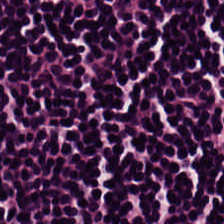H&E stain · formalin-fixed paraffin-embedded section. Finding → lymphocyte aggregate.
